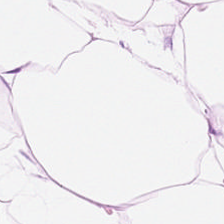Stain: hematoxylin-and-eosin stained section.
Tissue: adipose.
